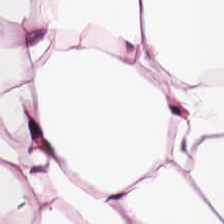Q: What type of tissue is this?
A: It is adipocytes.
